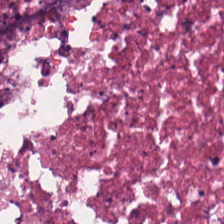H&E-stained tissue section; 224×224 px patch — Q: What tissue type is shown here?
A: Cellular debris.
